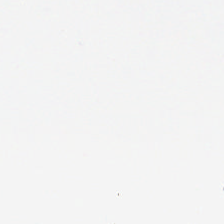0.5 µm per pixel · H&E.
Classification = no tissue.
